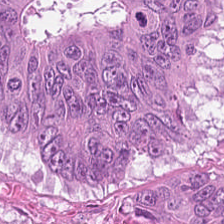WSI patch; hematoxylin and eosin. Q: What is the predominant tissue type?
A: It is colorectal adenocarcinoma epithelium.
